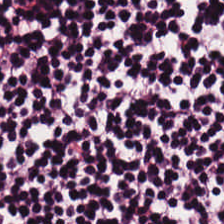H&E — lymphocytes.
